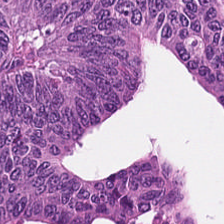224×224 px patch; hematoxylin-and-eosin stained section. Tissue type = malignant epithelium.
